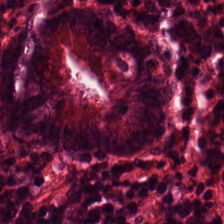H&E · 224×224 px tile. The tissue class is non-neoplastic colon mucosa.
